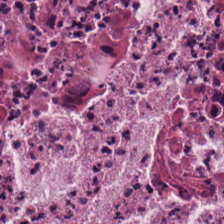H&E-stained tissue section — This field is debris.
